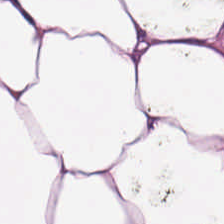Q: What is the predominant tissue type?
A: It is adipose.
